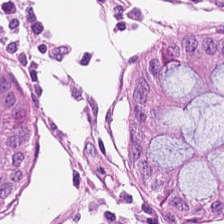224×224 pixel tile; H&E stain — Showing benign colonic mucosa.
